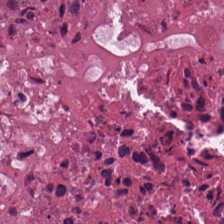Whole-slide-image patch. Hematoxylin and eosin — Showing cellular debris.
